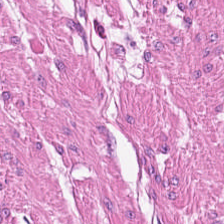H&E stain.
The tissue here is smooth muscle.
